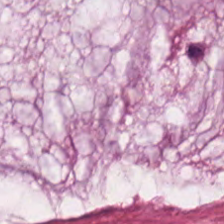Hematoxylin-and-eosin stained section — Mucin.
